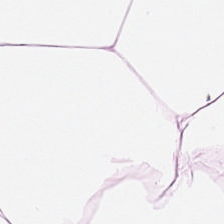H&E stain · brightfield microscopy · 20× equivalent magnification.
Q: Classify this patch.
A: The field shows adipose tissue.
